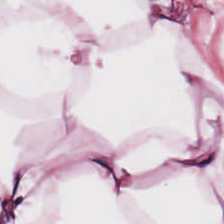224×224 px tile; hematoxylin-and-eosin stained section.
Q: What is the predominant tissue type?
A: This is adipose tissue.
